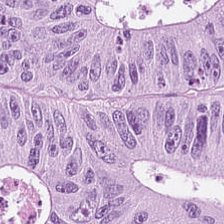Tissue class: adenocarcinoma.
